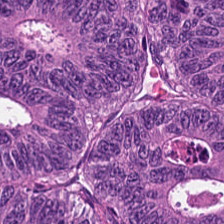Q: What type of tissue is this?
A: It is malignant epithelium.
